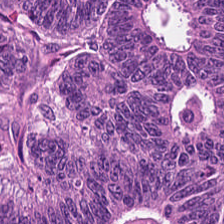Hematoxylin and eosin · 0.5 microns per pixel. {"tissue_type": "adenocarcinoma"}
